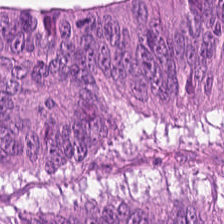This patch shows colorectal adenocarcinoma.
